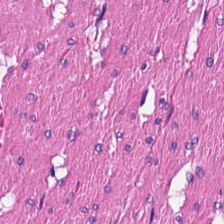0.5 µm/px · H&E. Tissue — smooth muscle.
